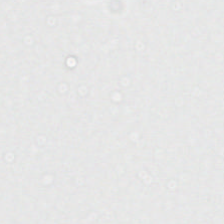0.5 µm/px. H&E-stained tissue section — The classification is background.
